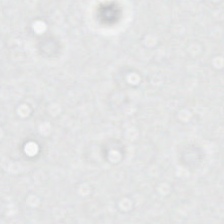Hematoxylin and eosin — The classification is background.
